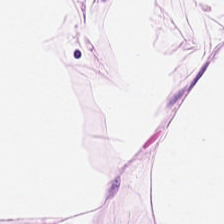224×224 pixel tile. H&E stain. Brightfield — This field is fat tissue.
